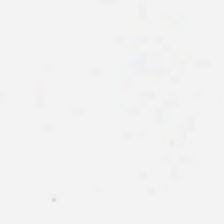H&E. Q: What is shown in this field?
A: No tissue.
